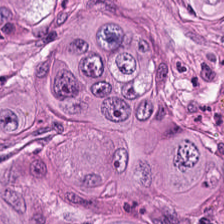H&E-stained tissue section.
The tissue here is malignant epithelium.
